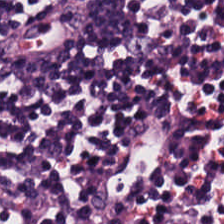H&E stain. Whole-slide-image patch — Histology — lymphocytic infiltrate.
